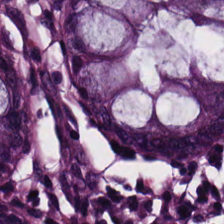{"tissue_type": "normal colon mucosa"}
